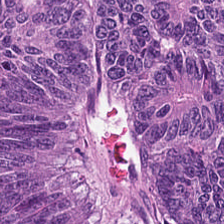224×224 px patch. H&E stain. Predominant tissue: colorectal adenocarcinoma epithelium.
